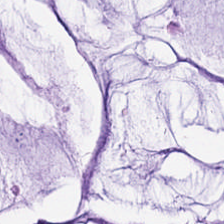Finding — mucin.
